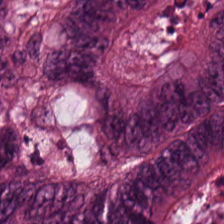Hematoxylin-and-eosin stained section — Showing extracellular mucin.
